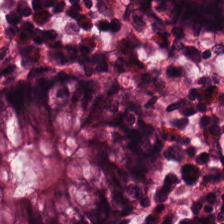H&E-stained tissue section — Finding — non-neoplastic colon mucosa.
